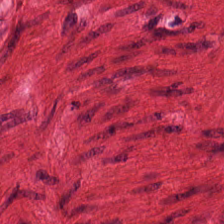H&E-stained tissue section.
Q: Classify this patch.
A: Muscularis.
